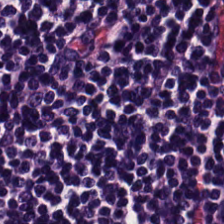Hematoxylin-and-eosin stained section. Histology — lymphocyte aggregate.
